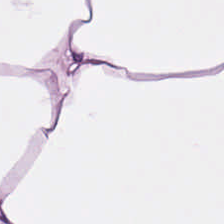H&E-stained tissue section — The tissue here is adipocytes.
